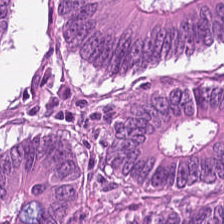Predominant tissue — colorectal adenocarcinoma.
